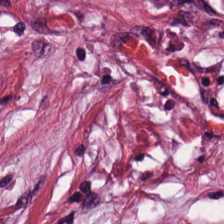H&E-stained section; the field shows desmoplastic stroma.
